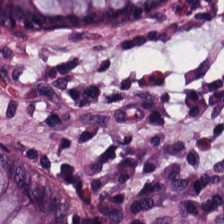Hematoxylin-and-eosin stained section; 0.5 microns per pixel; brightfield microscopy.
Normal colon mucosa.
